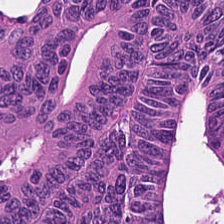H&E-stained tissue section; whole-slide-image patch.
Predominant tissue — colorectal adenocarcinoma.
